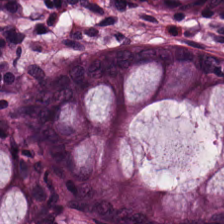Q: What is shown in this field?
A: The field shows normal colon mucosa.
